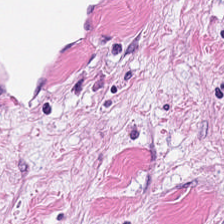H&E-stained tissue section · WSI patch.
Q: What is the predominant tissue type?
A: This is desmoplastic stroma.
